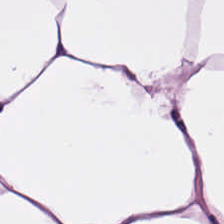Hematoxylin-and-eosin stained section.
Tissue = fat tissue.
